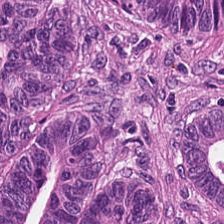Whole-slide-image patch. H&E.
This field is adenocarcinoma.
